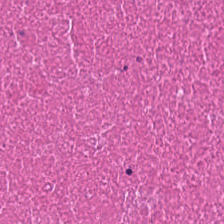Stain: H&E-stained tissue section.
Tissue class: necrotic debris.
